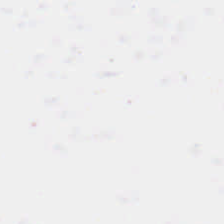Formalin-fixed paraffin-embedded section · H&E — Field content: background (no tissue).
